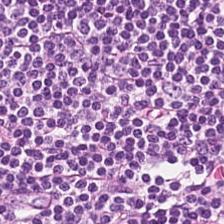H&E-stained tissue section. Showing lymphocyte aggregate.
